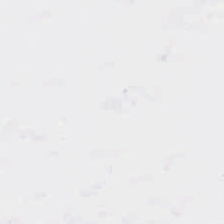Hematoxylin and eosin — Field content = background.
